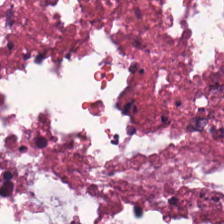Stain: hematoxylin-and-eosin stained section.
Tissue type: debris.
